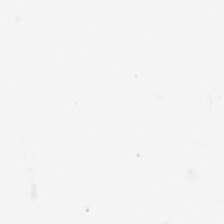H&E stain.
Content — background.
